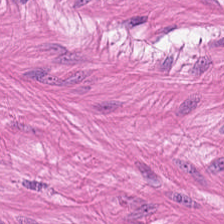This field is smooth muscle.
